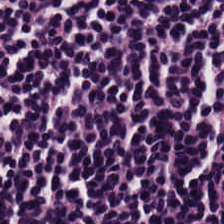This patch shows lymphocytic infiltrate.
